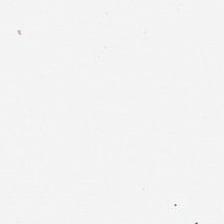H&E-stained tissue section; formalin-fixed paraffin-embedded section — Background — no tissue in this field.
